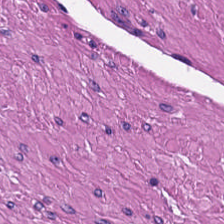Hematoxylin and eosin; brightfield; 0.5 microns per pixel — The tissue here is smooth muscle.
